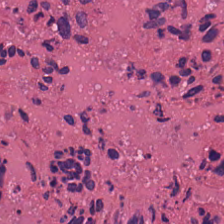Whole-slide-image patch; hematoxylin and eosin — Predominant tissue — cellular debris.
